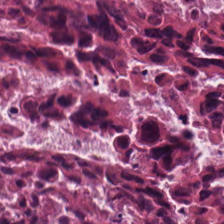Stain: hematoxylin and eosin.
Classification: debris.
